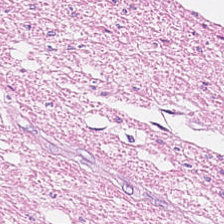Tissue class — smooth-muscle tissue.
